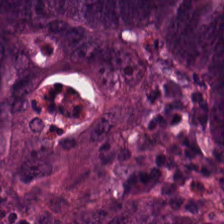Showing adenocarcinoma.
